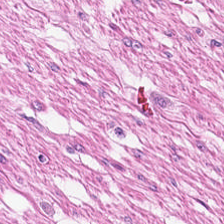Stain: H&E.
Classification: muscularis.
